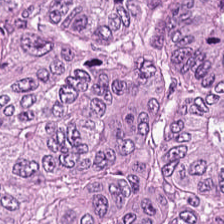Hematoxylin-and-eosin stained section.
The tissue class is tumor epithelium.
